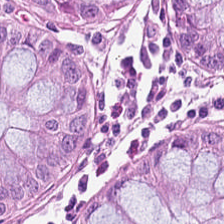Classification — benign colonic mucosa.
